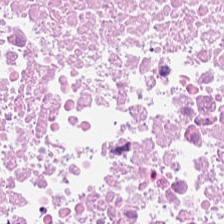FFPE tissue section; hematoxylin-and-eosin stained section.
Necrotic debris.
